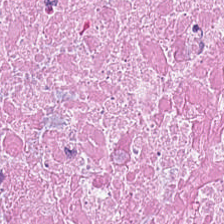H&E-stained tissue section. Q: What is the predominant tissue type?
A: It is debris.
